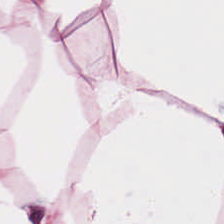Adipose tissue.
